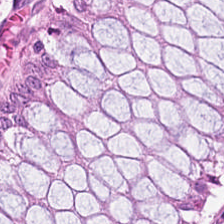H&E patch showing benign colonic mucosa.
